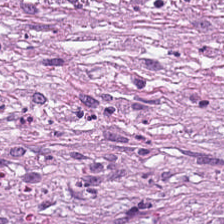This patch shows tumor stroma.
